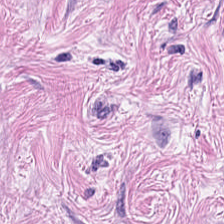Hematoxylin and eosin. Q: What does this patch show?
A: The field shows desmoplastic stroma.
